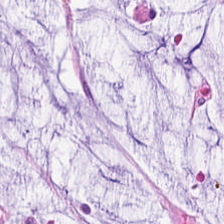H&E-stained tissue section. Brightfield microscopy. 0.5 microns per pixel.
Showing extracellular mucin.
